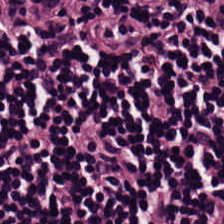Hematoxylin and eosin. This patch shows lymphocytes.
